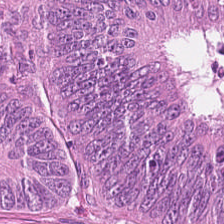Q: What is the predominant tissue type?
A: This is tumor epithelium.
